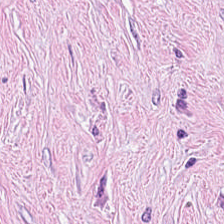H&E patch showing cancer-associated stroma.
